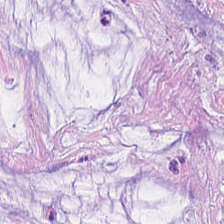H&E patch showing extracellular mucin.
